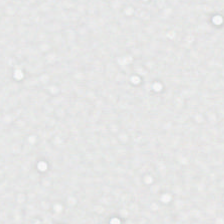No tissue present; background only.
